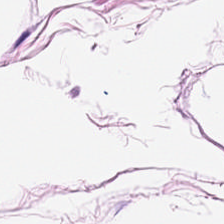H&E stain. 224×224 pixel tile. Q: What tissue type is shown here?
A: The field shows adipocytes.
